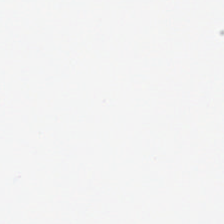H&E-stained tissue section. Content = empty background.
